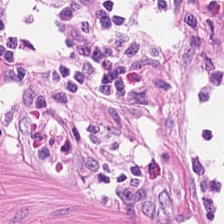H&E — Histology — smooth muscle.
